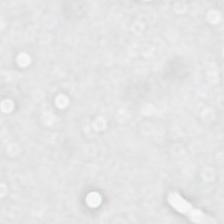Hematoxylin and eosin — Background — no tissue in this field.
